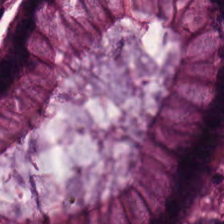H&E-stained tissue section showing normal colon mucosa.
